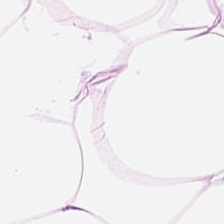Hematoxylin-and-eosin stained section — Showing adipocytes.
